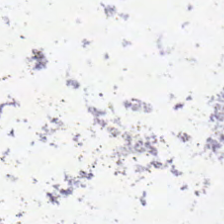Hematoxylin and eosin — Background — no tissue in this field.
